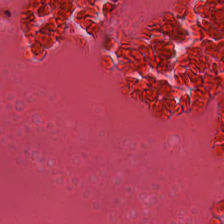Stain: H&E-stained tissue section.
Predominant tissue: necrotic debris.
